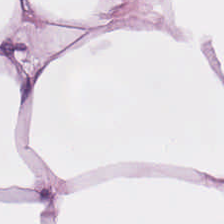224×224 pixel tile. Formalin-fixed paraffin-embedded section. H&E-stained tissue section — Histology — adipocytes.
